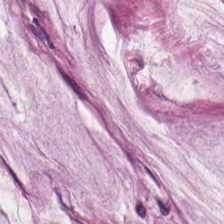FFPE; hematoxylin-and-eosin stained section — Tissue class: mucin.
